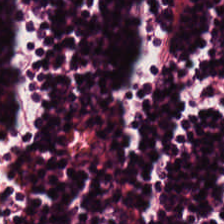Stain: H&E.
Tissue type: lymphoid infiltrate.
